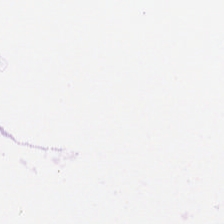This patch shows empty background.
